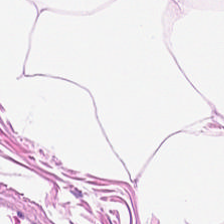H&E — Predominant tissue — adipocytes.
